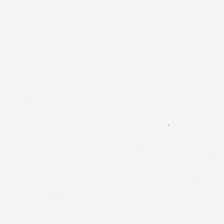H&E stain.
No tissue present; background only.
